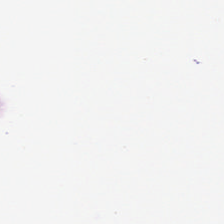20× equivalent magnification; H&E — Q: What is shown here?
A: It is background.
